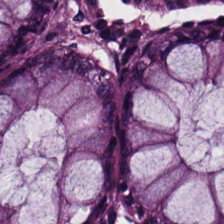{"tissue_type": "non-neoplastic colon mucosa"}
